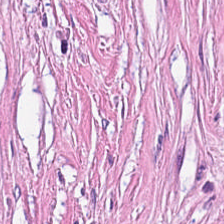H&E-stained tissue section — The predominant tissue is tumor stroma.
